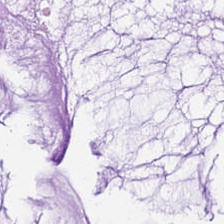Hematoxylin-and-eosin stained section; 224×224 pixel tile; FFPE tissue section. The predominant tissue is extracellular mucin.
